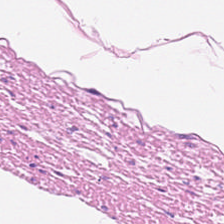Hematoxylin and eosin.
Q: What tissue is shown?
A: It is muscularis.
